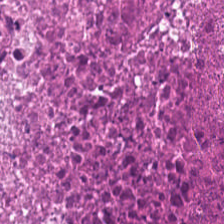H&E stain; WSI patch.
Q: What is shown here?
A: The field shows cellular debris.
